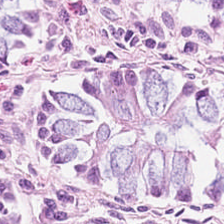H&E.
This field is normal colonic mucosa.
